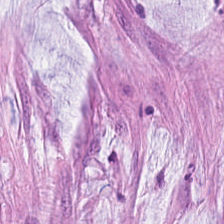20× equivalent magnification. H&E-stained tissue section — The predominant tissue is extracellular mucin.
